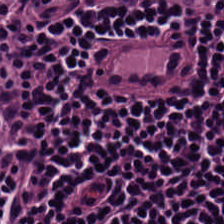Hematoxylin-and-eosin stained section. Q: What type of tissue is this?
A: It is lymphocytes.
